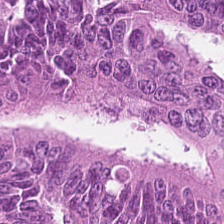H&E — {"tissue_type": "malignant epithelium"}
